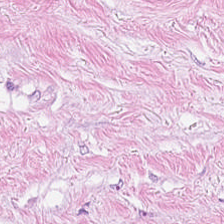Hematoxylin and eosin.
The tissue type is desmoplastic stroma.
